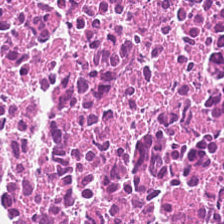Tissue = necrotic debris.
